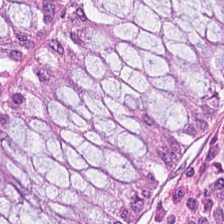Hematoxylin and eosin — Predominant tissue: benign colonic mucosa.
